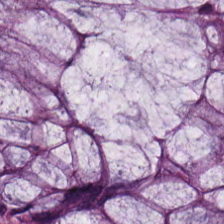0.5 µm per pixel. H&E-stained tissue section.
Tissue type — non-neoplastic colon mucosa.
